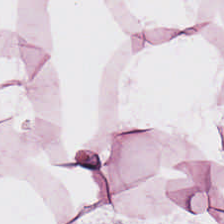H&E-stained tissue section — Tissue type — adipose tissue.
